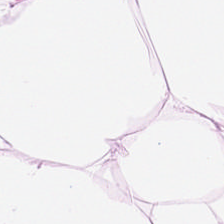H&E stain. Tissue type — adipose.
